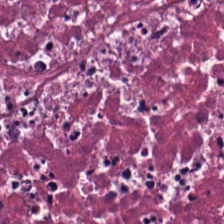Stain: H&E stain.
Tile size: 224×224 px patch.
Predominant tissue: debris.
